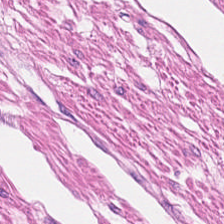Hematoxylin-and-eosin stained section — {"tissue_type": "muscularis"}
